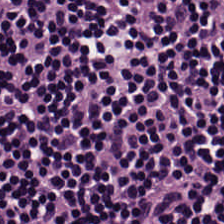Stain: hematoxylin-and-eosin stained section.
Tissue class: lymphocytic infiltrate.
